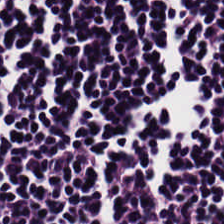The tissue class is lymphoid infiltrate.
